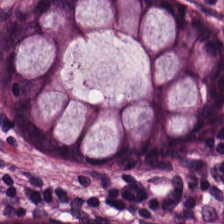H&E stain — This field is benign colonic mucosa.
